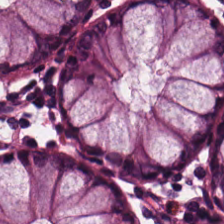Hematoxylin and eosin. This patch shows normal colonic mucosa.
